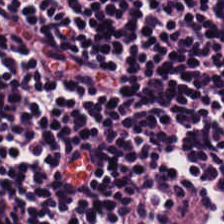FFPE tissue section; H&E-stained tissue section. Q: What is shown in this field?
A: Lymphocyte aggregate.
